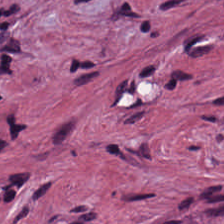H&E stain · 0.5 microns per pixel. Predominantly desmoplastic stroma.
